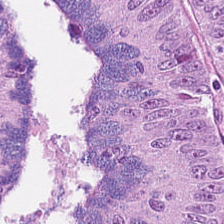H&E-stained tissue section · brightfield.
Tissue = tumor epithelium.
